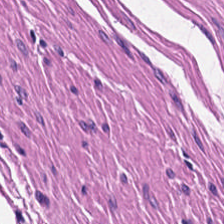Stain: hematoxylin-and-eosin stained section.
Classification: smooth muscle.
